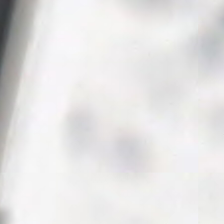Formalin-fixed paraffin-embedded section; hematoxylin-and-eosin stained section. This patch shows no tissue.
